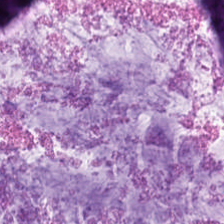Stain: hematoxylin and eosin.
Tissue: mucin.
